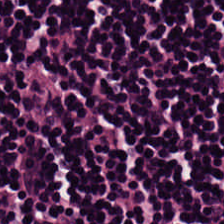Hematoxylin and eosin — Q: What is the predominant tissue type?
A: It is lymphocyte aggregate.
